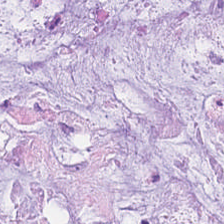Tissue type = extracellular mucin.
